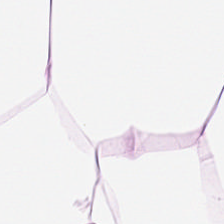Hematoxylin and eosin — Finding — adipocytes.
